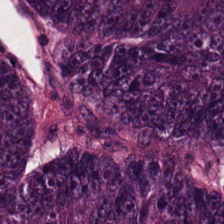Stain: H&E stain.
Tissue class: colorectal adenocarcinoma epithelium.
